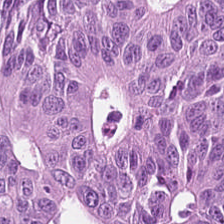Hematoxylin-and-eosin stained section — Tissue class — adenocarcinoma.
